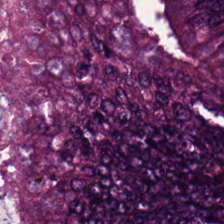224×224 pixel tile. Hematoxylin-and-eosin stained section. Classification: tumor epithelium.
